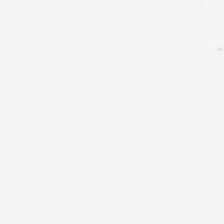H&E-stained tissue section.
Q: What is shown here?
A: It is empty background.
